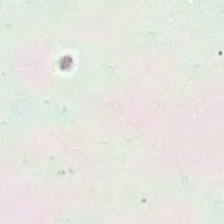Stain: H&E stain.
Resolution: 0.5 µm/px.
Field content: background.
